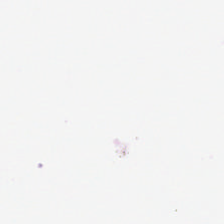Stain: H&E stain.
Classification: background.
